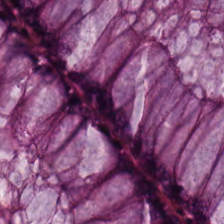Brightfield · H&E · FFPE tissue section. Classification — non-neoplastic colon mucosa.
